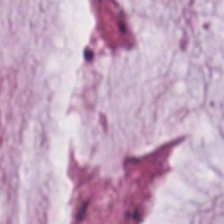FFPE. H&E.
Histology → mucin.
